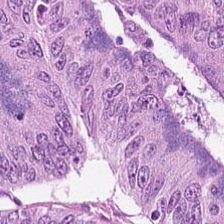Hematoxylin-and-eosin stained section. Q: Classify this patch.
A: It is malignant epithelium.
